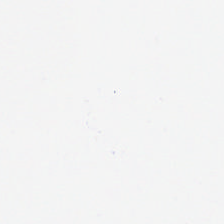H&E stain — Field content: no tissue.
